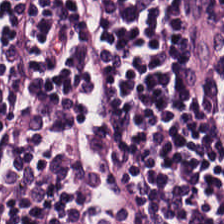Hematoxylin-and-eosin stained section — {"tissue_type": "lymphocyte aggregate"}
